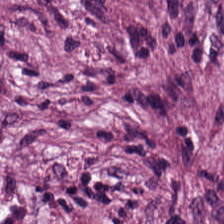Impression → cancer-associated stroma.
